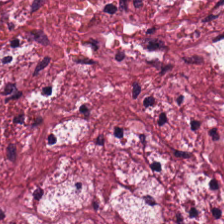Finding — cancer-associated stroma.
